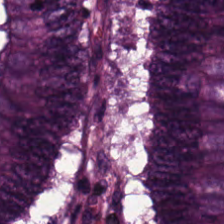Stain: H&E-stained tissue section.
Tissue class: adenocarcinoma.
